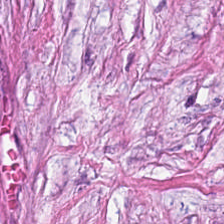H&E-stained tissue section — Showing cancer-associated stroma.
